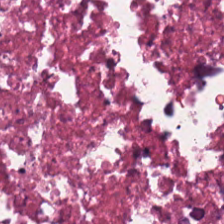FFPE. Hematoxylin and eosin — Histology — cellular debris.
